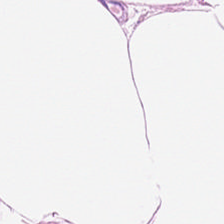Predominant tissue = fat tissue.
